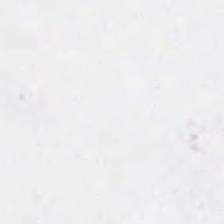This field is background (no tissue).
